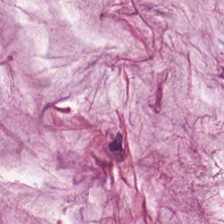20× equivalent magnification; 224×224 px patch; H&E stain.
The tissue here is mucin.
